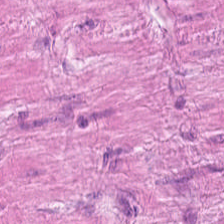Hematoxylin and eosin; WSI patch.
Showing smooth-muscle tissue.
